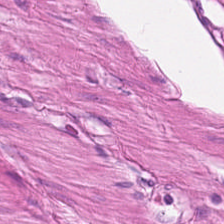0.5 microns per pixel · H&E. Classification: smooth-muscle tissue.
